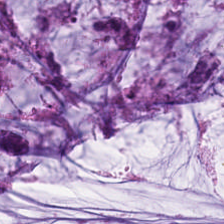Stain: H&E-stained tissue section.
Preparation: formalin-fixed paraffin-embedded section.
Classification: mucin.
